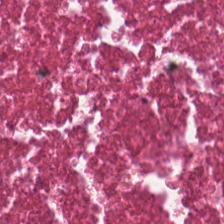The predominant tissue is necrotic debris.
